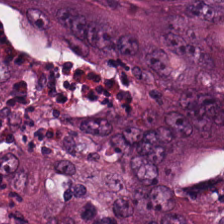Predominant tissue = malignant epithelium.
